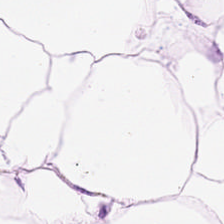0.5 µm/px · hematoxylin and eosin · FFPE. Q: What is shown here?
A: It is adipose.
